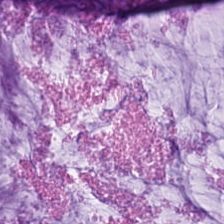The tissue class is extracellular mucin.
